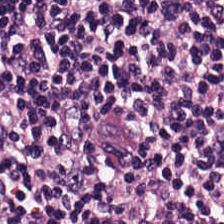H&E; 0.5 µm/px; brightfield microscopy.
Q: What does this patch show?
A: It is lymphocytes.
